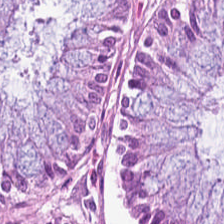Hematoxylin and eosin — Showing normal colonic mucosa.
